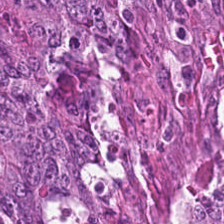H&E-stained tissue section.
Q: What does this patch show?
A: It is colorectal adenocarcinoma.
